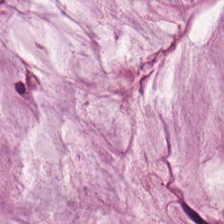H&E. 224×224 px patch — The tissue here is mucus.
